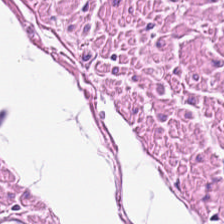Showing smooth-muscle tissue.
